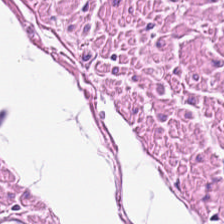Showing smooth-muscle tissue.
